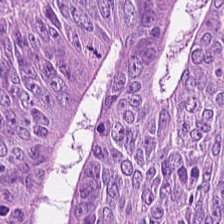The predominant tissue is colorectal adenocarcinoma.
